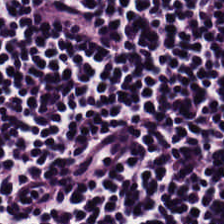Hematoxylin-and-eosin stained section; whole-slide-image patch. Q: What type of tissue is this?
A: This is lymphocyte aggregate.
